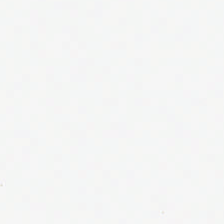WSI patch; H&E-stained tissue section.
Q: Classify this patch.
A: The field shows no tissue.
